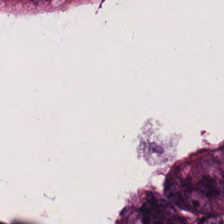224×224 px tile; H&E — {"tissue_type": "malignant epithelium"}
